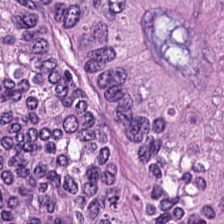Colorectal adenocarcinoma epithelium.
